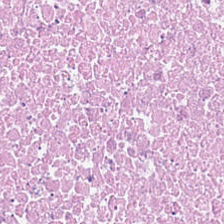Predominant tissue = debris.
